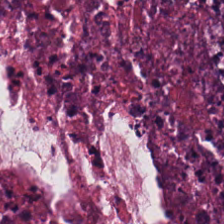H&E stain. Tissue class = debris.
